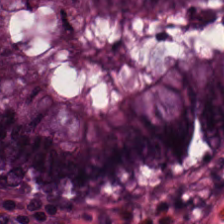Stain: H&E-stained tissue section.
Classification: normal colonic mucosa.
